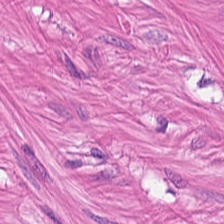224×224 pixel tile. Hematoxylin-and-eosin stained section.
The predominant tissue is muscularis.
